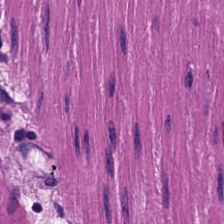Hematoxylin and eosin — This field is smooth muscle.
